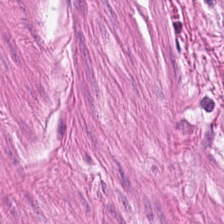Hematoxylin-and-eosin stained section. The tissue class is muscularis.
